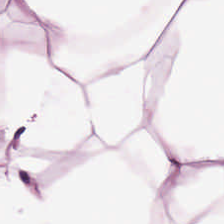H&E — This field is adipocytes.
